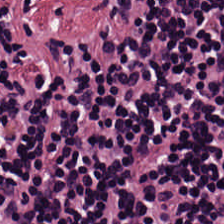Lymphocytic infiltrate.
